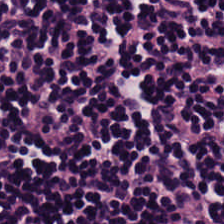Stain: hematoxylin and eosin.
Tissue class: lymphoid infiltrate.
